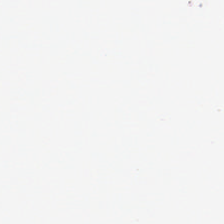H&E-stained tissue section — Classification: empty background.
